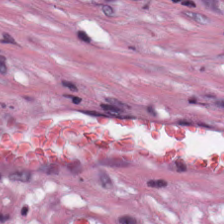H&E stain. Formalin-fixed paraffin-embedded section.
The tissue type is tumor stroma.
